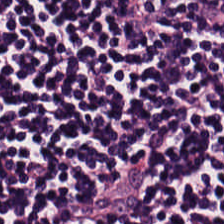Stain: H&E.
Tile size: 224×224 pixel tile.
Tissue: lymphocytes.
